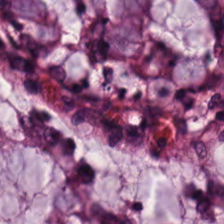H&E-stained tissue section showing non-neoplastic colon mucosa.
